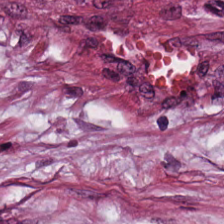Hematoxylin and eosin. {"tissue_type": "tumor stroma"}
